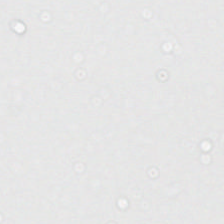H&E.
Field content: empty background.
